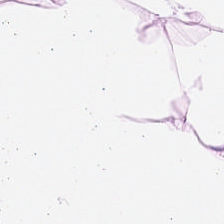Hematoxylin and eosin — This patch shows adipose tissue.
